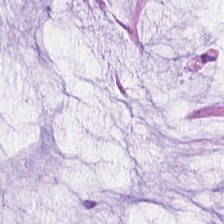Hematoxylin-and-eosin stained section — Finding — mucin.
